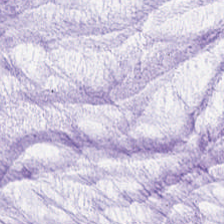Finding → mucus.
